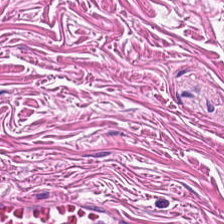Hematoxylin and eosin — Impression — smooth-muscle tissue.
